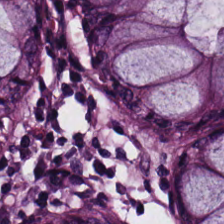H&E; 224×224 px patch. The predominant tissue is benign colonic mucosa.
